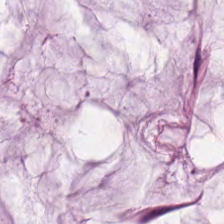H&E — mucin.
